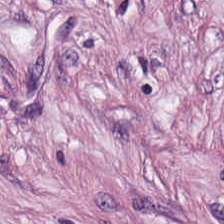This field is desmoplastic stroma.
